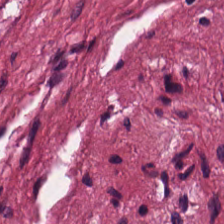Q: Identify the tissue.
A: It is cancer-associated stroma.
